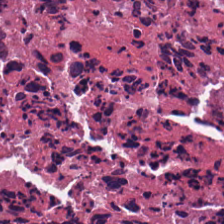Showing debris.
